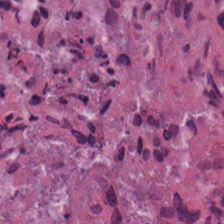This patch shows cellular debris.
